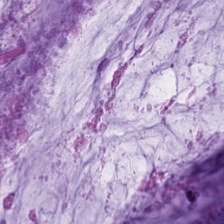Classification: mucin.
